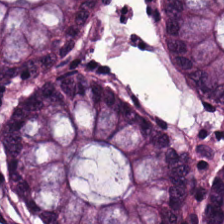Q: What tissue type is shown here?
A: This is benign colonic mucosa.
